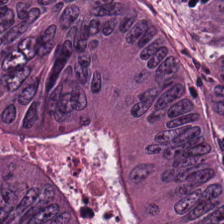Histology → colorectal adenocarcinoma.
